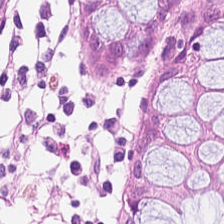Hematoxylin and eosin.
The predominant tissue is benign colonic mucosa.
